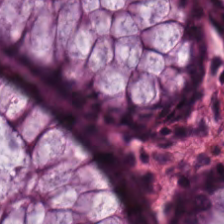The predominant tissue is benign colonic mucosa.
